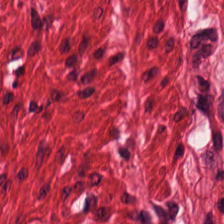FFPE tissue section; H&E — This field is smooth muscle.
